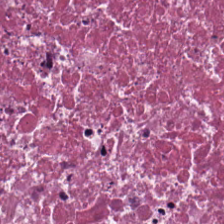Hematoxylin and eosin. The predominant tissue is debris.
